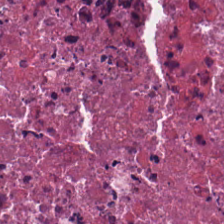H&E stain — Q: What is shown here?
A: This is cellular debris.
